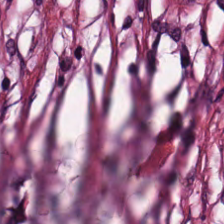Stain: hematoxylin and eosin.
Preparation: FFPE.
Tissue class: desmoplastic stroma.
